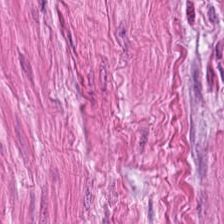Stain: H&E stain.
Classification: smooth muscle.
